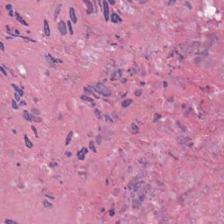Hematoxylin-and-eosin stained section · WSI patch.
Finding → cellular debris.
